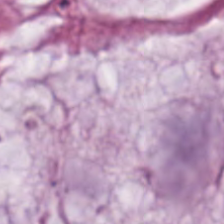H&E.
Predominantly extracellular mucin.
